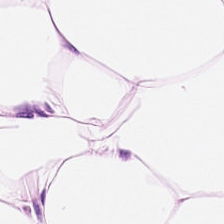Stain: H&E stain.
Acquisition: brightfield microscopy.
Classification: adipose tissue.
